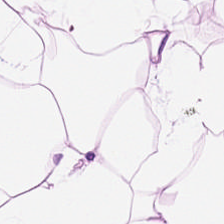Hematoxylin-and-eosin stained section. This field is fat tissue.
